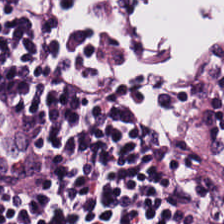Q: What does this patch show?
A: Lymphocytes.
